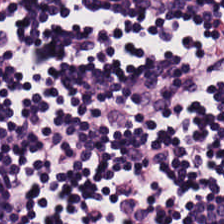Tissue type — lymphocytes.
